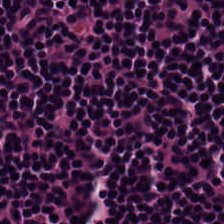Brightfield microscopy. H&E. The predominant tissue is lymphocytic infiltrate.
